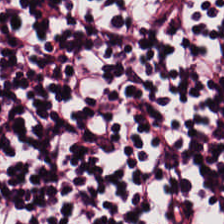Stain: H&E-stained tissue section.
Tile size: 224×224 px patch.
Tissue class: lymphocyte aggregate.
